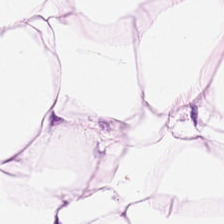0.5 microns per pixel; hematoxylin-and-eosin stained section — Predominantly fat tissue.
